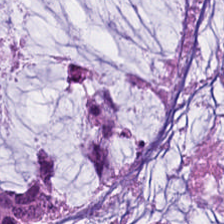H&E-stained tissue section · 0.5 microns per pixel. {"tissue_type": "mucin"}
